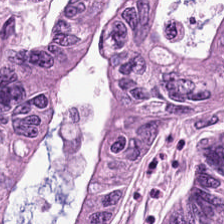Q: What tissue is shown?
A: This is tumor epithelium.
